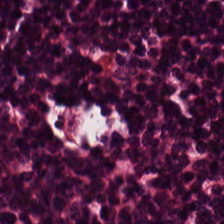H&E — Finding → lymphocytes.
